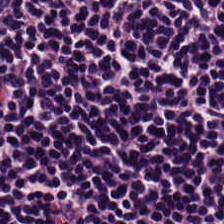H&E stain; FFPE tissue section — Q: What is shown here?
A: This is lymphocyte aggregate.
